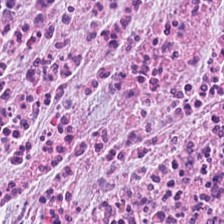0.5 µm/px; 224×224 pixel tile; H&E-stained tissue section.
This patch shows cancer-associated stroma.
